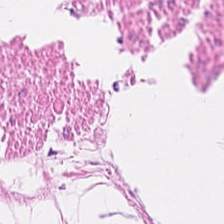Stain: hematoxylin and eosin.
Tissue type: smooth-muscle tissue.
